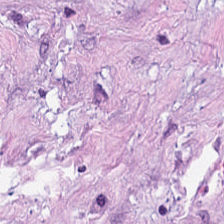This patch shows desmoplastic stroma.
